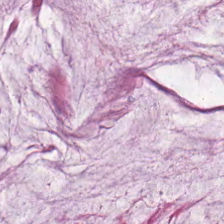Hematoxylin and eosin.
{"tissue_type": "extracellular mucin"}
